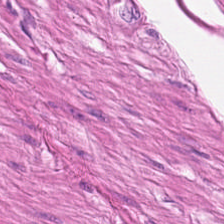H&E. Predominantly smooth-muscle tissue.
